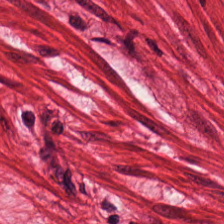Q: What is shown in this field?
A: It is smooth-muscle tissue.
